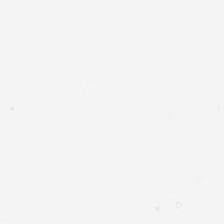FFPE tissue section; hematoxylin-and-eosin stained section — Background — no tissue in this field.
